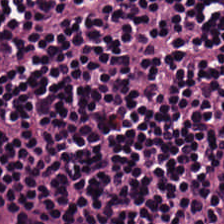H&E.
Tissue type — lymphocytic infiltrate.
